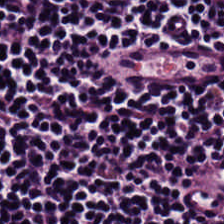Tissue type = lymphoid infiltrate.
